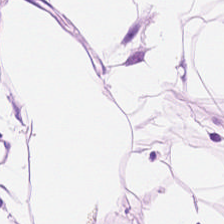H&E stain.
This patch shows fat tissue.
